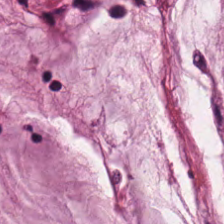Hematoxylin-and-eosin stained section — Extracellular mucin.
